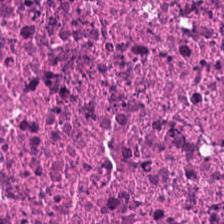WSI patch · formalin-fixed paraffin-embedded section · H&E.
Classification = necrotic debris.
